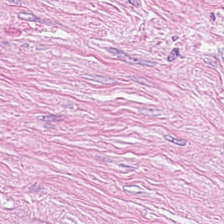H&E-stained tissue section; 0.5 microns per pixel.
The predominant tissue is desmoplastic stroma.
